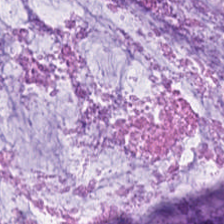The tissue here is mucus.
